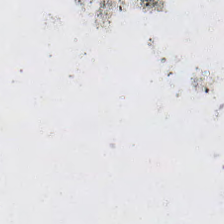{"content": "no tissue"}
